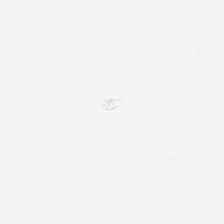FFPE tissue section · hematoxylin-and-eosin stained section. Background.
